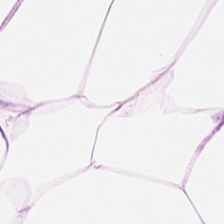H&E; 224×224 pixel tile — Tissue: adipocytes.
